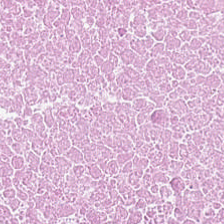H&E · 0.5 µm/px · WSI patch. {"tissue_type": "necrotic debris"}
